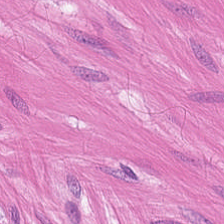H&E stain.
Tissue type — smooth-muscle tissue.
